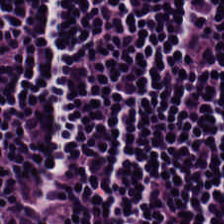Hematoxylin-and-eosin stained section. Impression → lymphocytic infiltrate.
